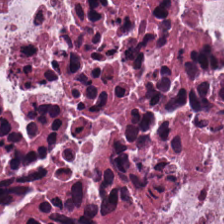Tissue = necrotic debris.
